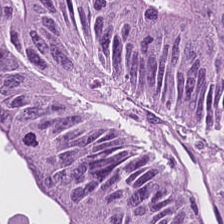Hematoxylin-and-eosin stained section. Whole-slide-image patch.
{"tissue_type": "colorectal adenocarcinoma"}
